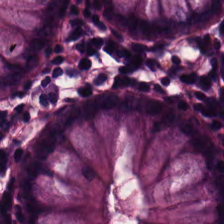FFPE. H&E stain.
Predominantly normal colonic mucosa.
